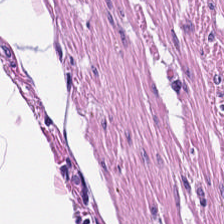0.5 µm/px. Hematoxylin-and-eosin stained section. FFPE tissue section.
Showing smooth muscle.
